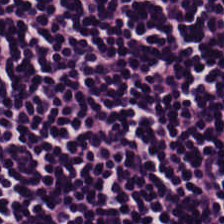H&E stain. Histology — lymphoid infiltrate.
